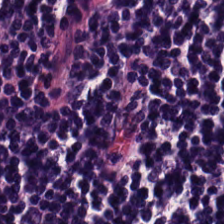Tissue type — lymphocytic infiltrate.
